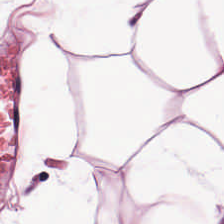Hematoxylin and eosin · WSI patch. The tissue here is adipose.
